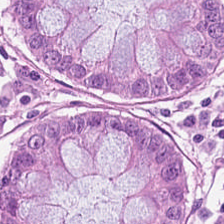H&E-stained tissue section · FFPE tissue section.
Tissue class — normal colonic mucosa.
